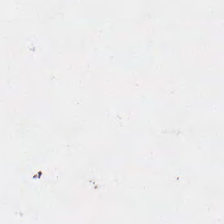H&E-stained tissue section.
Background (no tissue).
